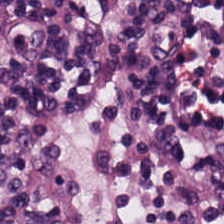H&E-stained tissue section — {"tissue_type": "lymphocytic infiltrate"}
